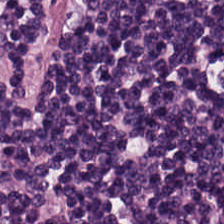Stain: hematoxylin-and-eosin stained section.
Acquisition: whole-slide-image patch.
Preparation: formalin-fixed paraffin-embedded section.
Tissue class: lymphocyte aggregate.
